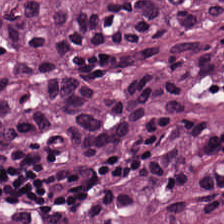Hematoxylin-and-eosin stained section · brightfield microscopy · FFPE tissue section — Tissue type: colorectal adenocarcinoma.
